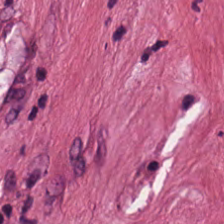Classification: tumor-associated stroma.
